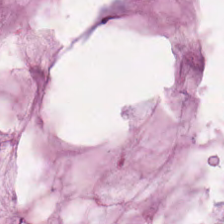H&E stain — Tissue type: extracellular mucin.
